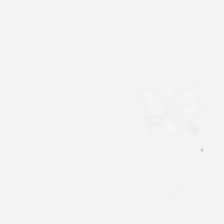Classification = background.
